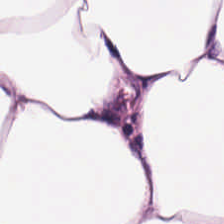0.5 microns per pixel. Hematoxylin-and-eosin stained section.
Adipose tissue.
